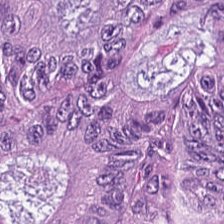H&E stain. WSI patch.
The tissue type is tumor epithelium.
